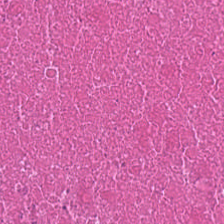Hematoxylin and eosin — Histology → debris.
